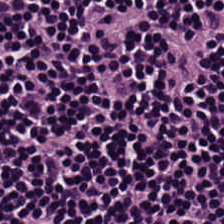The predominant tissue is lymphocytic infiltrate.
